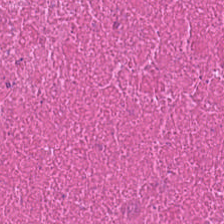Stain: hematoxylin-and-eosin stained section.
Acquisition: WSI patch.
Preparation: FFPE tissue section.
Tissue class: debris.
